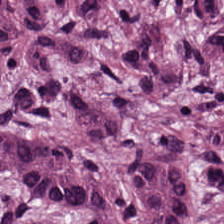H&E — Tissue = adenocarcinoma.
